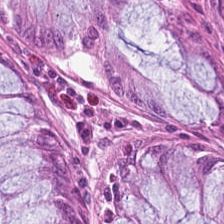This field is benign colonic mucosa.
